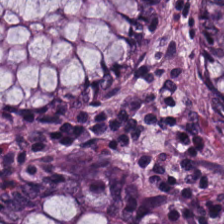224×224 px tile; H&E. Predominant tissue = normal colonic mucosa.
